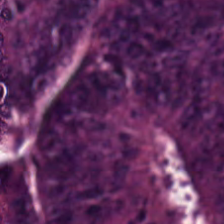H&E-stained tissue section; 0.5 µm per pixel; brightfield — Colorectal adenocarcinoma epithelium.
